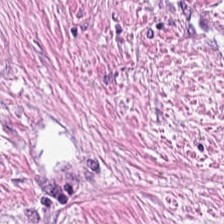Tissue type — tumor stroma.
